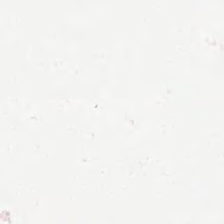H&E-stained tissue section. Impression — empty background.
